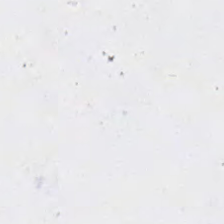0.5 µm per pixel; H&E stain — Q: Classify this patch.
A: No tissue.
